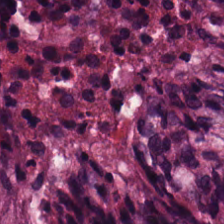0.5 µm/px. H&E — Normal colon mucosa.
